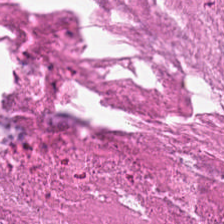H&E-stained tissue section; 0.5 µm per pixel. The tissue here is necrotic debris.
